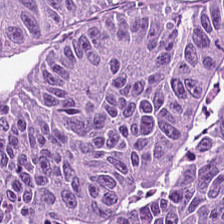Brightfield. H&E.
The predominant tissue is malignant epithelium.
